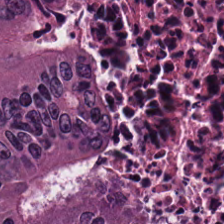Q: What is shown here?
A: This is colorectal adenocarcinoma epithelium.
